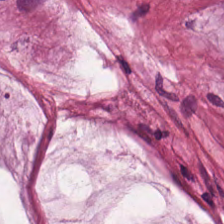H&E-stained tissue section; brightfield.
Tissue — extracellular mucin.
